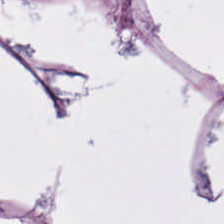Stain: H&E stain.
Preparation: FFPE.
Acquisition: whole-slide-image patch.
Classification: adipose tissue.
